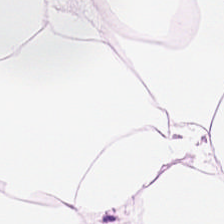The predominant tissue is adipose tissue.
